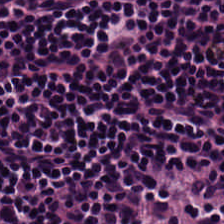H&E. 0.5 microns per pixel. The predominant tissue is lymphocytes.
